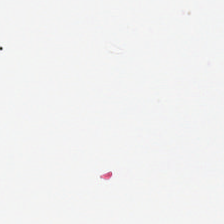Finding → no tissue.
